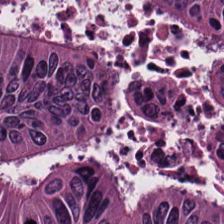Hematoxylin and eosin.
Impression → colorectal adenocarcinoma epithelium.
